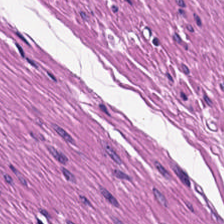FFPE tissue section. Hematoxylin-and-eosin stained section. This field is smooth muscle.
